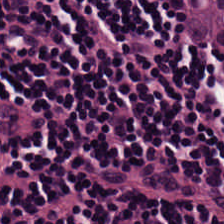H&E. Impression → lymphocytes.
